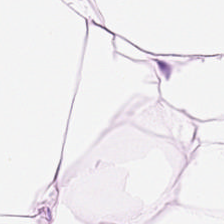H&E stain. Q: What does this patch show?
A: This is fat tissue.
